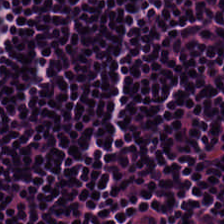H&E-stained section; the field shows lymphoid infiltrate.
